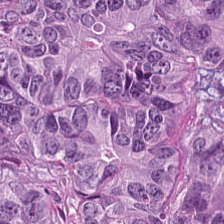Q: Classify this patch.
A: This is adenocarcinoma.
